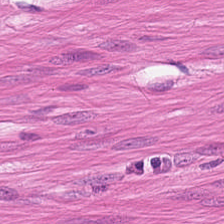Histology — smooth-muscle tissue.
